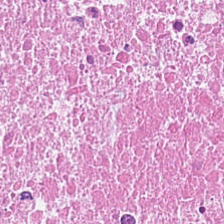Predominant tissue: necrotic debris.
